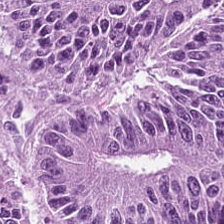This field is tumor epithelium.
